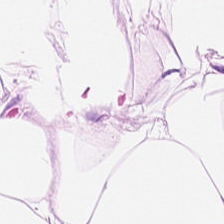This patch shows fat tissue.
